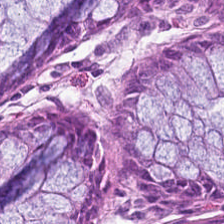{"tissue_type": "benign colonic mucosa"}
